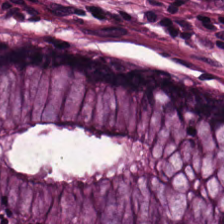H&E-stained tissue section · 224×224 px patch.
Q: What tissue type is shown here?
A: It is normal colonic mucosa.
